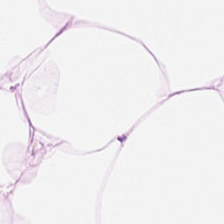Stain: hematoxylin and eosin.
Tissue: adipocytes.
